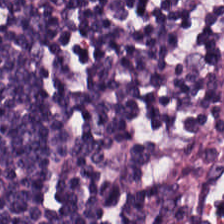Stain: hematoxylin-and-eosin stained section.
Tissue type: lymphocyte aggregate.
